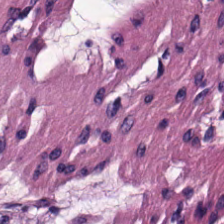H&E; 224×224 px patch; 0.5 microns per pixel — The tissue here is smooth muscle.
